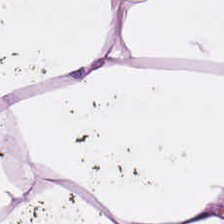WSI patch; 224×224 px tile; H&E stain.
Tissue = adipose.
